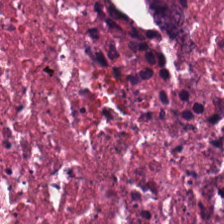Showing necrotic debris.
